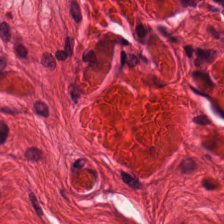Stain: hematoxylin-and-eosin stained section.
Tissue type: muscularis.
